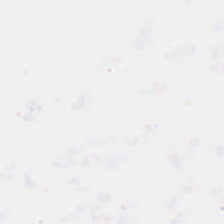H&E stain — This field is background (no tissue).
